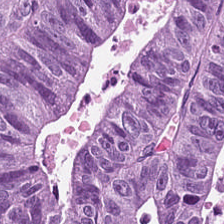Colorectal adenocarcinoma epithelium.
